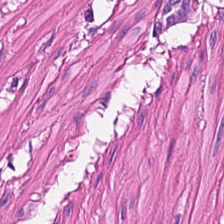224×224 pixel tile · hematoxylin and eosin · WSI patch — Predominantly muscularis.
